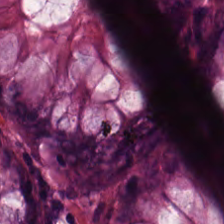Hematoxylin and eosin.
{"tissue_type": "non-neoplastic colon mucosa"}
